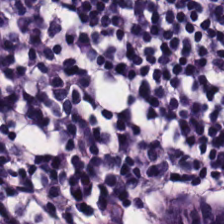Hematoxylin-and-eosin stained section. Q: What type of tissue is this?
A: Lymphocyte aggregate.
